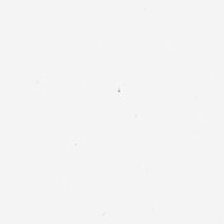Field content — empty background.
